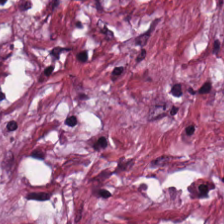20× equivalent magnification. H&E — Q: Identify the tissue.
A: This is cancer-associated stroma.
